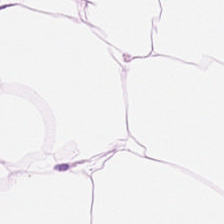Tissue: adipocytes.
